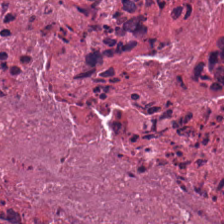Hematoxylin and eosin.
Tissue = cellular debris.
